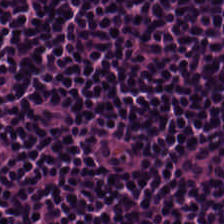H&E — lymphocytic infiltrate.
